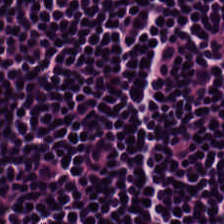Hematoxylin and eosin · FFPE — Predominant tissue — lymphocytic infiltrate.
